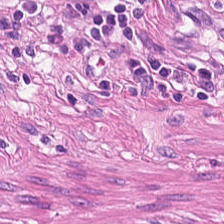H&E stain. This patch shows muscularis.
